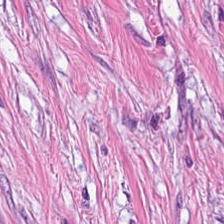Hematoxylin and eosin.
This field is desmoplastic stroma.
